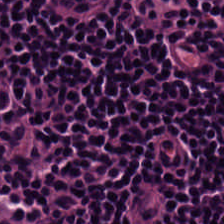H&E patch showing lymphocyte aggregate.
